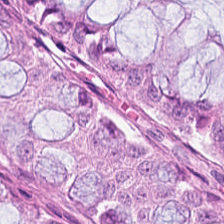0.5 µm/px. H&E. FFPE. Predominantly normal colon mucosa.
